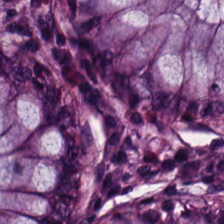Tissue type — normal colonic mucosa.
